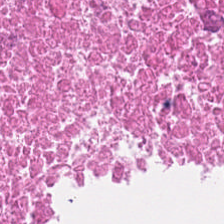H&E stain; 0.5 µm/px; formalin-fixed paraffin-embedded section — Tissue type — necrotic debris.
